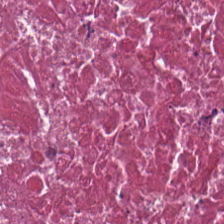H&E.
{"tissue_type": "necrotic debris"}
